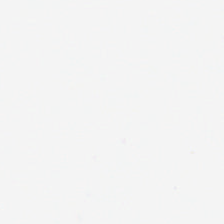Hematoxylin-and-eosin stained section. No tissue.
